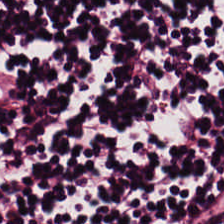Whole-slide-image patch; hematoxylin and eosin; 20× equivalent magnification — This field is lymphocyte aggregate.
